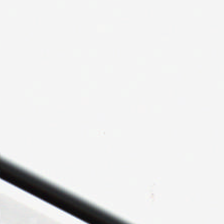H&E stain. Classification: no tissue.
